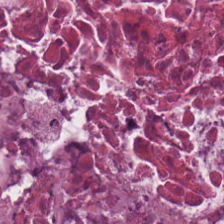Q: What tissue is shown?
A: This is cellular debris.
